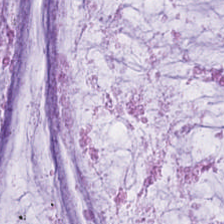Extracellular mucin.
